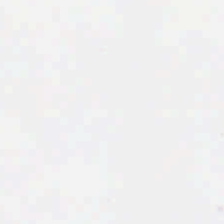H&E-stained tissue section. 224×224 px tile. Brightfield.
Classification: no tissue.
